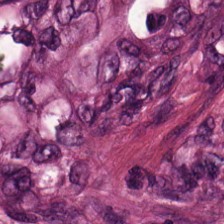Hematoxylin-and-eosin stained section. {"tissue_type": "tumor stroma"}
